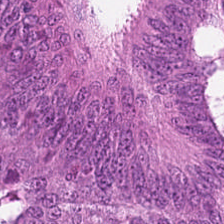H&E.
The tissue here is malignant epithelium.
